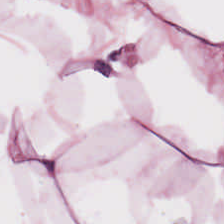Hematoxylin and eosin. Adipose tissue.
